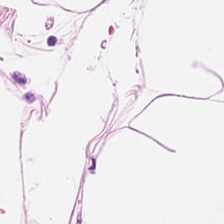Stain: H&E.
Tissue class: adipose.
